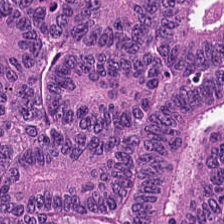H&E — Classification: colorectal adenocarcinoma epithelium.
